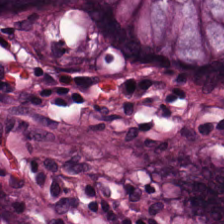The tissue here is normal colon mucosa.
